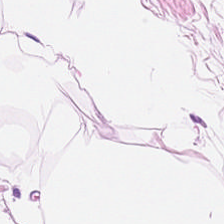Tissue — adipocytes.
